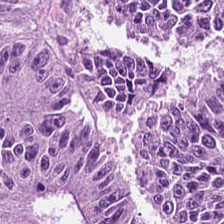Hematoxylin and eosin — Showing adenocarcinoma.
